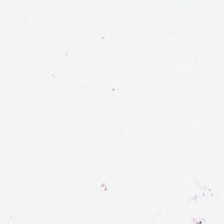H&E-stained tissue section. This patch shows background.
